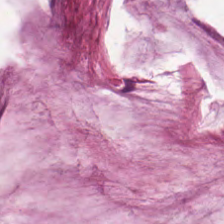H&E.
Q: What is the predominant tissue type?
A: This is mucin.
